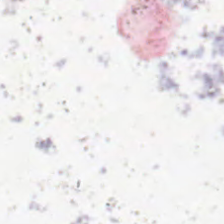H&E. Content: no tissue.
